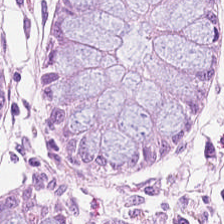224×224 px patch; H&E-stained tissue section — Q: What tissue type is shown here?
A: It is benign colonic mucosa.
